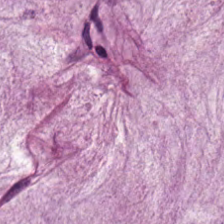H&E stain.
Showing mucin.
